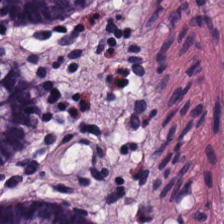H&E-stained tissue section. Predominantly normal colonic mucosa.
